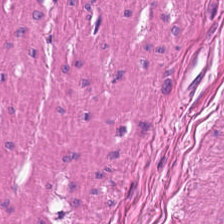FFPE tissue section. H&E-stained tissue section. Impression → smooth-muscle tissue.
